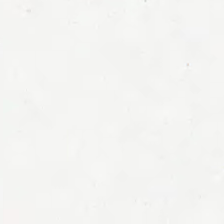224×224 px patch · H&E-stained tissue section — The classification is empty background.
